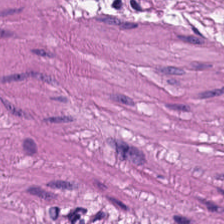FFPE. H&E stain — This field is muscularis.
